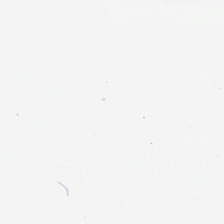H&E stain — Finding — empty background.
